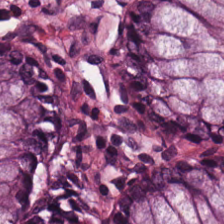H&E-stained tissue section. Classification = benign colonic mucosa.
